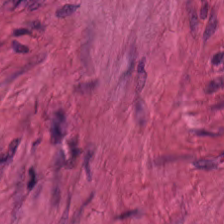FFPE · hematoxylin and eosin.
Histology → muscularis.
